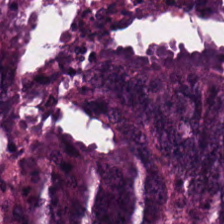H&E. FFPE. 20× equivalent magnification.
{"tissue_type": "tumor epithelium"}
